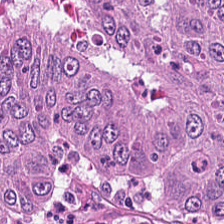Stain: hematoxylin-and-eosin stained section.
Tissue: malignant epithelium.
